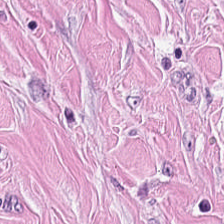Brightfield microscopy · hematoxylin-and-eosin stained section. Classification = tumor-associated stroma.
